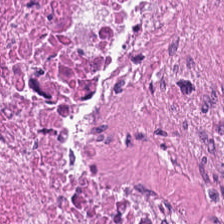H&E stain. Q: Classify this patch.
A: This is necrotic debris.
